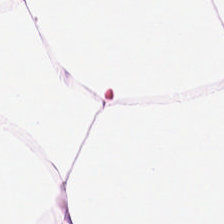FFPE tissue section · H&E-stained tissue section — Tissue type: adipose.
